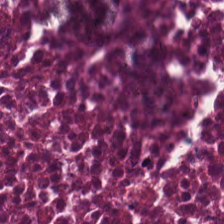224×224 px patch. 0.5 microns per pixel. H&E-stained tissue section.
Predominant tissue: debris.
